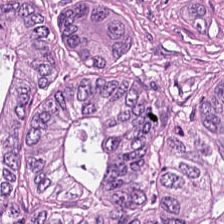Impression → tumor epithelium.
